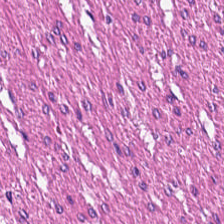Hematoxylin-and-eosin section: muscularis.
